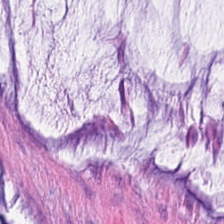Hematoxylin-and-eosin stained section. Brightfield — The tissue type is extracellular mucin.
